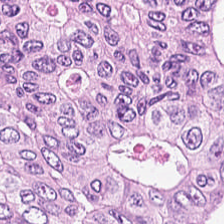H&E stain — Q: What tissue type is shown here?
A: Tumor epithelium.
